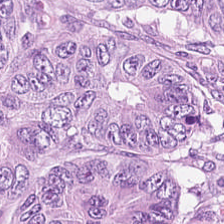224×224 px patch; hematoxylin-and-eosin stained section.
Showing tumor epithelium.
